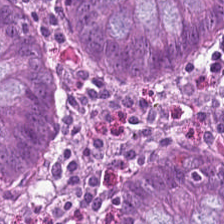Hematoxylin-and-eosin stained section.
Predominantly normal colonic mucosa.
